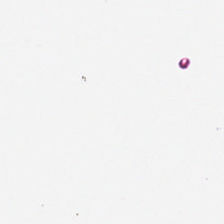Stain: hematoxylin and eosin.
Content: background (no tissue).
